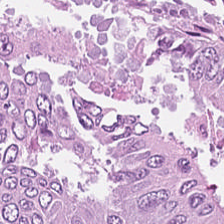Stain: hematoxylin-and-eosin stained section.
Tissue class: colorectal adenocarcinoma.
